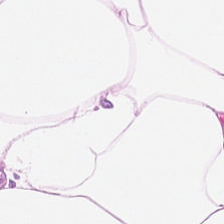H&E stain · FFPE tissue section — Tissue — adipocytes.
